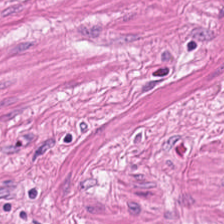Hematoxylin and eosin.
The tissue here is muscularis.
